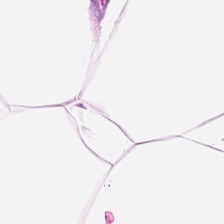H&E stain; 224×224 px patch.
Showing adipocytes.
